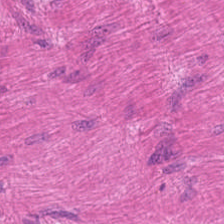H&E. {"tissue_type": "smooth-muscle tissue"}
